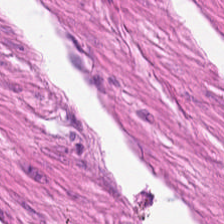H&E.
Tissue type: smooth-muscle tissue.
